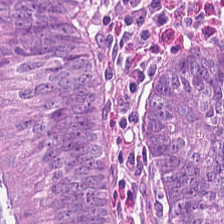Stain: H&E stain.
Tissue class: tumor epithelium.
